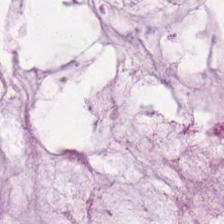H&E.
Histology — mucin.
